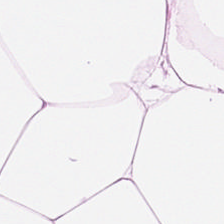Hematoxylin-and-eosin stained section.
Predominantly fat tissue.
